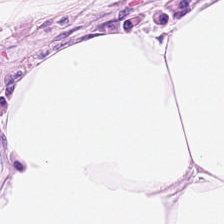{"tissue_type": "adipose tissue"}
